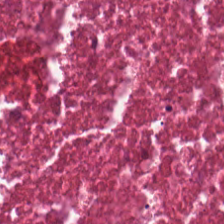Stain: H&E.
Predominant tissue: necrotic debris.
